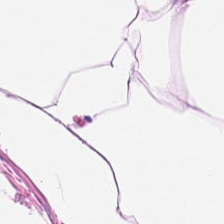FFPE tissue section · 0.5 µm per pixel · hematoxylin and eosin. Adipocytes.
